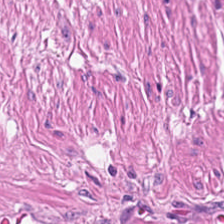Hematoxylin-and-eosin stained section. 224×224 pixel tile. 0.5 µm/px. {"tissue_type": "muscularis"}
